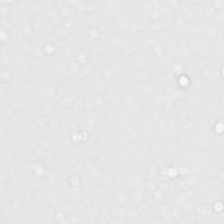Hematoxylin-and-eosin stained section. Q: What is shown in this field?
A: The field shows no tissue.
